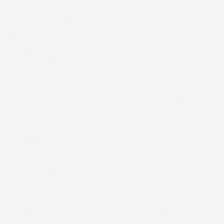The classification is background (no tissue).
